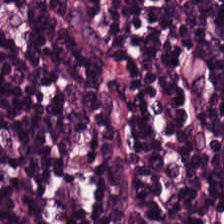Predominant tissue: lymphocyte aggregate.
